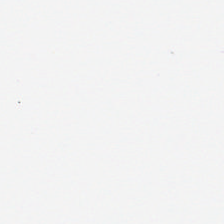Impression — background (no tissue).
